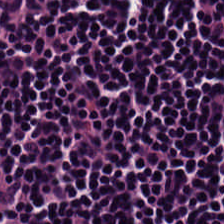0.5 µm per pixel · hematoxylin-and-eosin stained section — Predominant tissue — lymphoid infiltrate.
